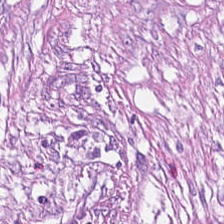H&E stain. Tissue type = cancer-associated stroma.
